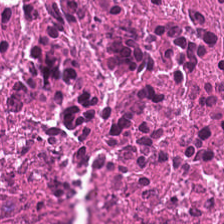H&E. FFPE. This field is debris.
